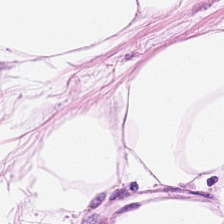H&E stain.
Impression — adipocytes.
